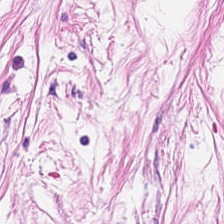Stain: H&E.
Resolution: 20× equivalent magnification.
Tissue: desmoplastic stroma.
